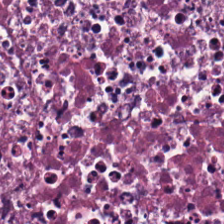H&E.
Cellular debris.
